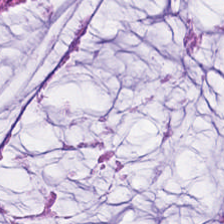Tissue class: mucin.
